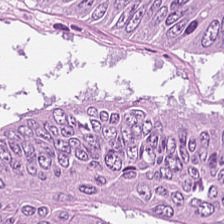WSI patch · 224×224 px tile · H&E. Tissue type: colorectal adenocarcinoma epithelium.
